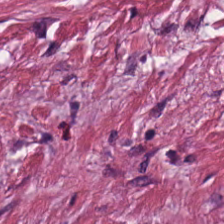Hematoxylin and eosin — Showing tumor-associated stroma.
